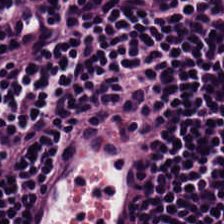H&E.
Lymphocyte aggregate.
